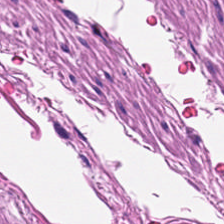Hematoxylin and eosin — Muscularis.
